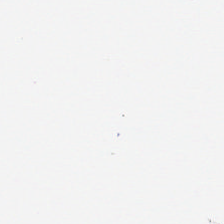H&E stain. This patch shows no tissue.
